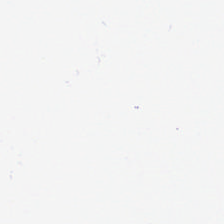H&E — Content — background (no tissue).
